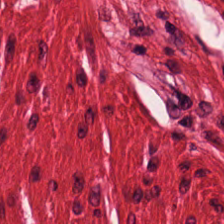H&E stain. Impression — muscularis.
